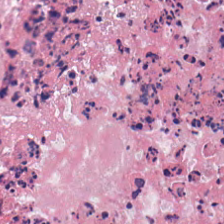H&E · FFPE.
The predominant tissue is necrotic debris.
